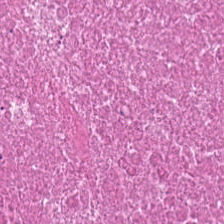Hematoxylin-and-eosin stained section — Tissue type = debris.
